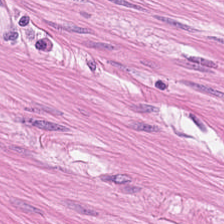The tissue class is muscularis.
